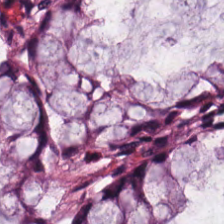Stain: H&E-stained tissue section.
Preparation: formalin-fixed paraffin-embedded section.
Resolution: 20× equivalent magnification.
Predominant tissue: normal colon mucosa.
